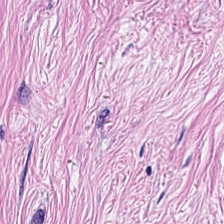Hematoxylin and eosin; 20× equivalent magnification — Tissue type = tumor stroma.
